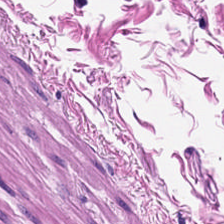Hematoxylin and eosin.
{"tissue_type": "muscularis"}
